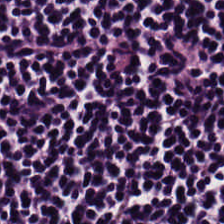Stain: H&E.
Preparation: FFPE tissue section.
Acquisition: WSI patch.
Tissue: lymphocytes.
